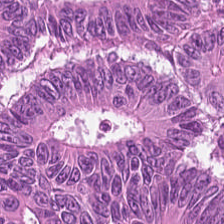H&E · brightfield microscopy · formalin-fixed paraffin-embedded section.
Tissue class: tumor epithelium.
